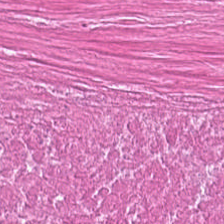H&E-stained tissue section — Classification: debris.
